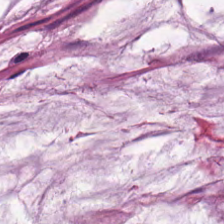H&E-stained tissue section showing mucus.
